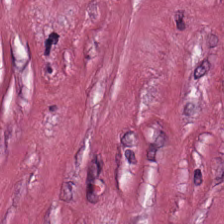Hematoxylin-and-eosin stained section; 224×224 px tile — Cancer-associated stroma.
